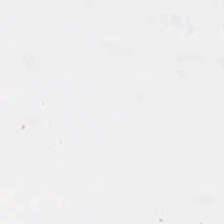Empty field — background.
